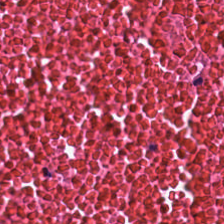FFPE tissue section; H&E; 224×224 pixel tile. Q: What is shown here?
A: The field shows cellular debris.
